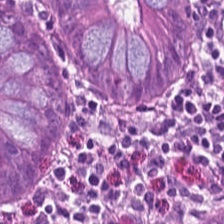0.5 microns per pixel; hematoxylin-and-eosin stained section; 224×224 px patch. Classification: benign colonic mucosa.
